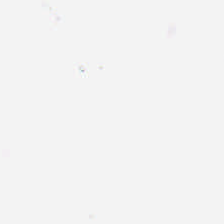Hematoxylin-and-eosin stained section — No tissue present; background only.
